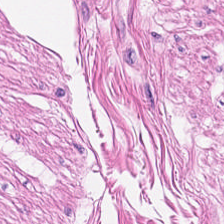0.5 microns per pixel. H&E stain. 224×224 px patch — Tissue: smooth-muscle tissue.
